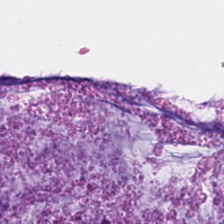Hematoxylin and eosin. Histology → extracellular mucin.
